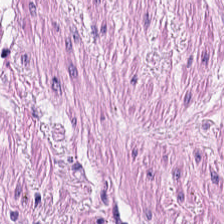Hematoxylin-and-eosin stained section · FFPE tissue section · 224×224 pixel tile — Tissue: smooth muscle.
